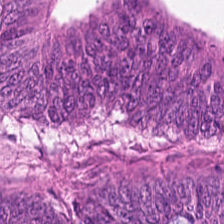H&E stain; 224×224 px tile; 20× equivalent magnification — Q: What is shown here?
A: The field shows colorectal adenocarcinoma.
